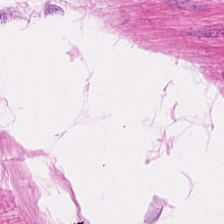Hematoxylin-and-eosin stained section.
This patch shows smooth muscle.
